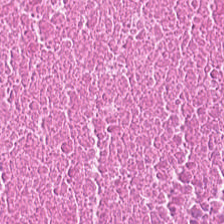H&E stain.
{"tissue_type": "necrotic debris"}
